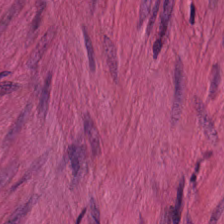Stain: H&E stain.
Predominant tissue: muscularis.
